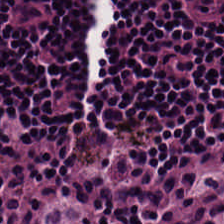Tissue: lymphoid infiltrate.
